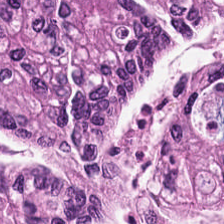Hematoxylin-and-eosin stained section · 0.5 µm per pixel · brightfield microscopy — The tissue is adenocarcinoma.
